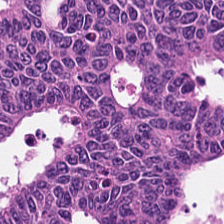Tissue type — tumor epithelium.
